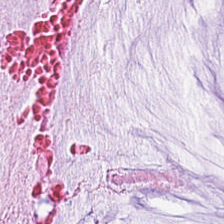This patch shows mucin.
